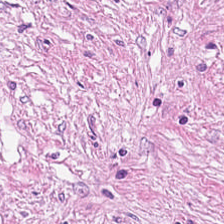0.5 µm/px; H&E; FFPE. Showing cancer-associated stroma.
